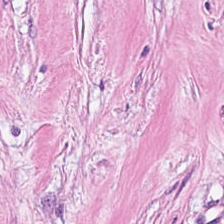Formalin-fixed paraffin-embedded section; hematoxylin-and-eosin stained section; brightfield — Tissue type: tumor-associated stroma.
